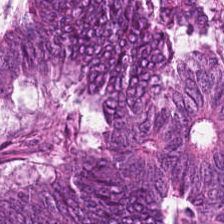H&E. The predominant tissue is tumor epithelium.
